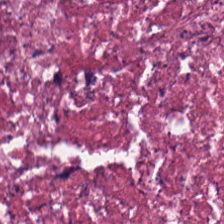Hematoxylin-and-eosin stained section; FFPE. Tissue type: cellular debris.
